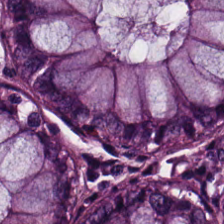H&E stain; 0.5 µm/px. This field is benign colonic mucosa.
